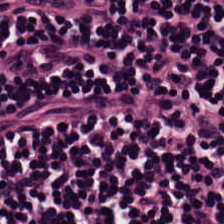Stain: H&E.
Preparation: formalin-fixed paraffin-embedded section.
Tile size: 224×224 px patch.
Tissue class: lymphocytic infiltrate.
